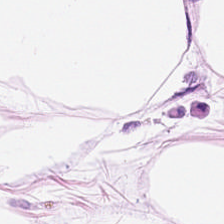H&E.
This patch shows fat tissue.
